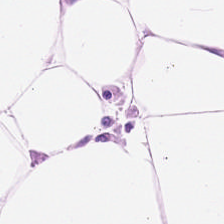H&E stain. 224×224 px tile — Tissue: adipose tissue.
